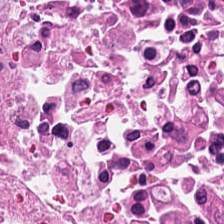H&E-stained tissue section showing cellular debris.
